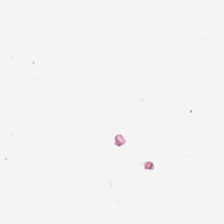H&E stain — Field content: background.
